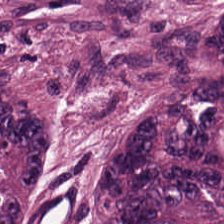Brightfield microscopy. H&E stain.
Predominant tissue = colorectal adenocarcinoma.
